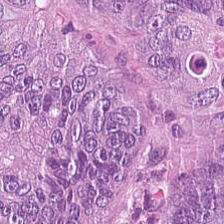Q: What type of tissue is this?
A: The field shows colorectal adenocarcinoma.
